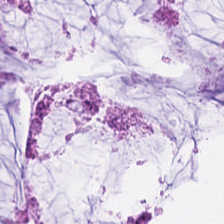Stain: hematoxylin-and-eosin stained section.
Classification: mucus.
